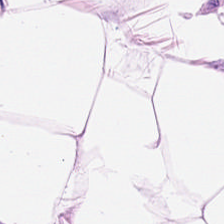H&E stain. {"tissue_type": "adipose"}
